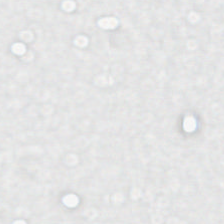Stain: hematoxylin and eosin.
Tile size: 224×224 px tile.
Classification: empty background.
